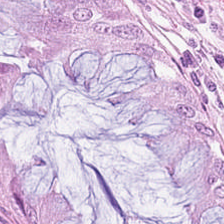H&E stain · 20× equivalent magnification.
This field is normal colon mucosa.
